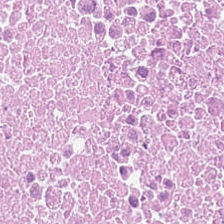224×224 pixel tile; brightfield; H&E-stained tissue section.
Q: What tissue is shown?
A: The field shows necrotic debris.
